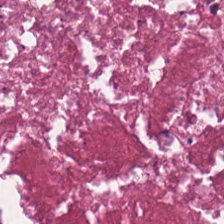This field is debris.
